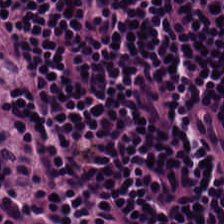Q: What is shown in this field?
A: The field shows lymphocytes.
